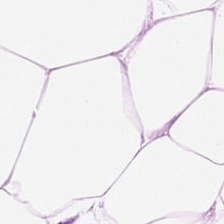H&E-stained tissue section — The classification is adipose.
